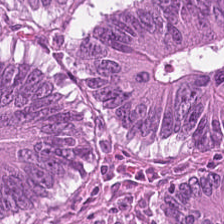Hematoxylin-and-eosin stained section · 0.5 µm/px.
Histology — malignant epithelium.
